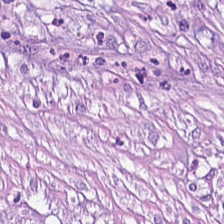Brightfield. Hematoxylin and eosin. 224×224 px patch — The classification is desmoplastic stroma.
